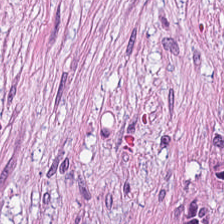{"tissue_type": "cancer-associated stroma"}
